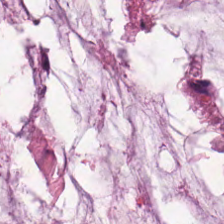Stain: H&E.
Tissue class: mucin.
